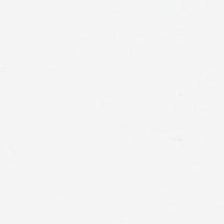Histology → empty background.
